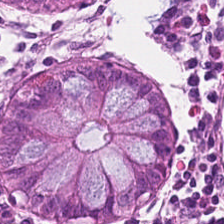Q: What tissue is shown?
A: Benign colonic mucosa.
